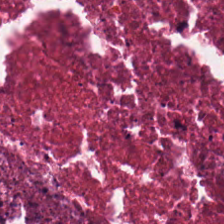Classification: debris.
